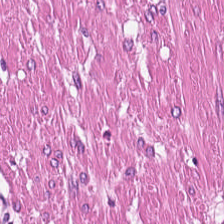Brightfield · 224×224 pixel tile · H&E.
{"tissue_type": "muscularis"}
